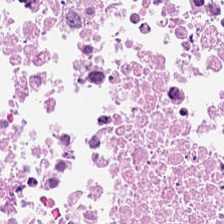Hematoxylin and eosin.
Showing debris.
